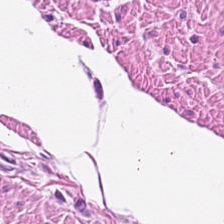Hematoxylin-and-eosin stained section.
The tissue here is muscularis.
